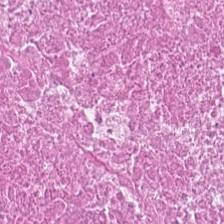Hematoxylin-and-eosin stained section — Impression → necrotic debris.
